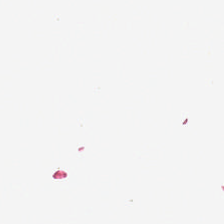WSI patch. 224×224 px tile. Hematoxylin-and-eosin stained section.
{"content": "background"}
